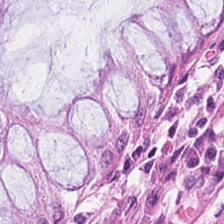H&E — normal colonic mucosa.
